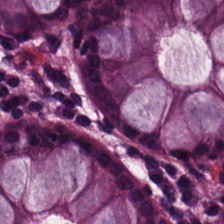WSI patch · formalin-fixed paraffin-embedded section · H&E — Tissue type: non-neoplastic colon mucosa.
